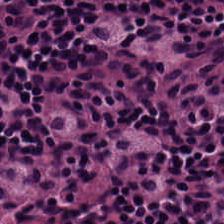224×224 px tile; H&E stain; WSI patch — Finding → lymphocyte aggregate.
